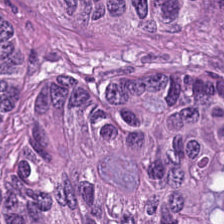Brightfield microscopy; H&E-stained tissue section. Showing colorectal adenocarcinoma.
